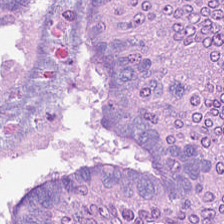Whole-slide-image patch · H&E — Q: What does this patch show?
A: It is adenocarcinoma.
